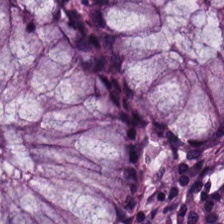H&E-stained tissue section.
Predominantly normal colon mucosa.
